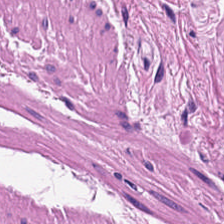The predominant tissue is muscularis.
